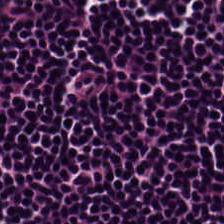Brightfield. H&E — {"tissue_type": "lymphocytic infiltrate"}
